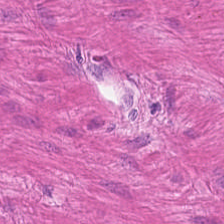Smooth-muscle tissue.
